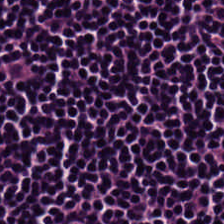H&E-stained tissue section.
The tissue here is lymphocytes.
